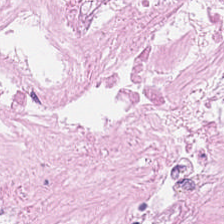224×224 px tile. H&E-stained tissue section — Q: What does this patch show?
A: Debris.
